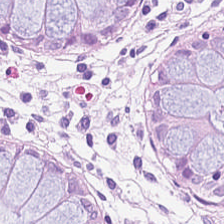FFPE. H&E stain. Whole-slide-image patch.
Predominant tissue = normal colonic mucosa.
